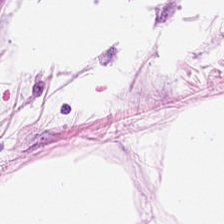Brightfield microscopy; 0.5 µm per pixel; hematoxylin-and-eosin stained section.
Q: What is shown in this field?
A: It is adipocytes.
